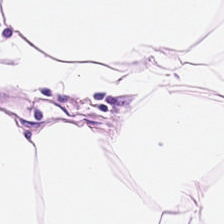This patch shows fat tissue.
